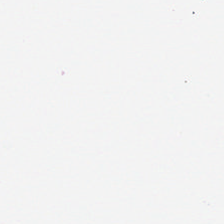Stain: hematoxylin and eosin.
Classification: empty background.
